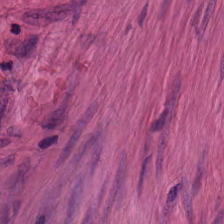H&E-stained tissue section.
Smooth muscle.
